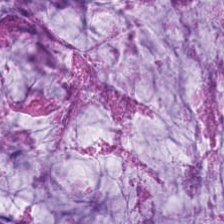0.5 µm/px; H&E-stained tissue section.
This field is mucin.
